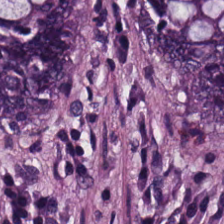20× equivalent magnification; H&E.
Predominantly benign colonic mucosa.
